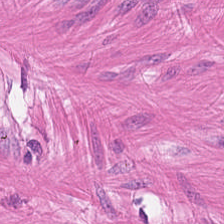Stain: hematoxylin and eosin.
Tissue class: smooth muscle.
